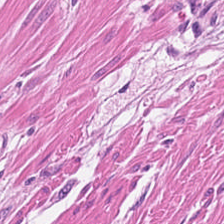H&E-stained tissue section — The predominant tissue is smooth-muscle tissue.
